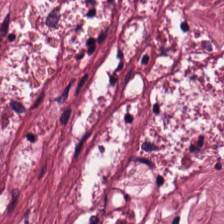Hematoxylin and eosin. FFPE tissue section. 224×224 px patch — The tissue here is tumor-associated stroma.
